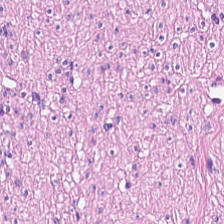Hematoxylin-and-eosin stained section.
Q: What tissue is shown?
A: This is muscularis.
